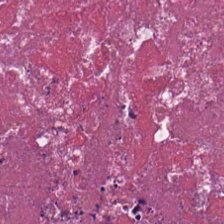20× equivalent magnification. Hematoxylin and eosin — Classification — necrotic debris.
